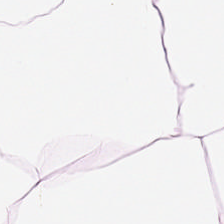Brightfield · H&E-stained tissue section · 0.5 microns per pixel. Classification = adipose tissue.
